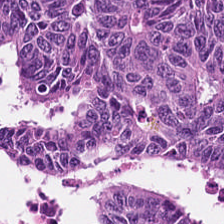H&E; 224×224 px patch; 0.5 µm per pixel.
Predominantly colorectal adenocarcinoma epithelium.
